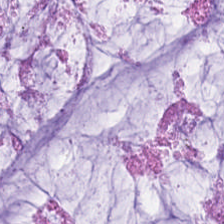Hematoxylin-and-eosin stained section — This patch shows mucus.
